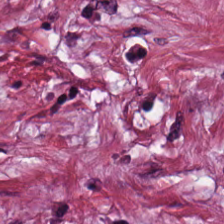H&E-stained tissue section. Q: What is shown in this field?
A: It is cancer-associated stroma.
